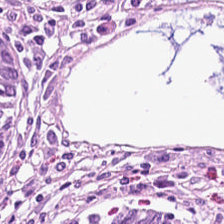20× equivalent magnification. H&E stain.
Classification: benign colonic mucosa.
